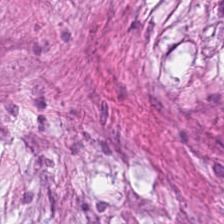H&E-stained tissue section — Tumor-associated stroma.
